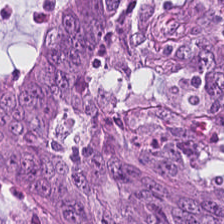H&E. FFPE — {"tissue_type": "tumor epithelium"}
